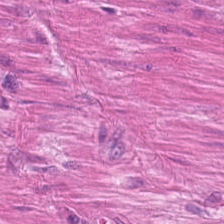Hematoxylin-and-eosin stained section; whole-slide-image patch. Impression — smooth muscle.
